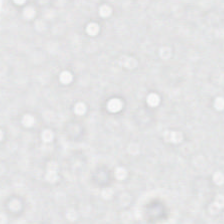{"content": "empty background"}
